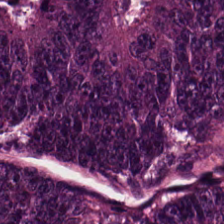H&E-stained tissue section.
Q: What is shown in this field?
A: It is colorectal adenocarcinoma.
